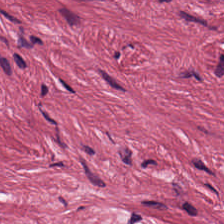Brightfield microscopy; H&E. Q: What is the predominant tissue type?
A: It is tumor-associated stroma.
